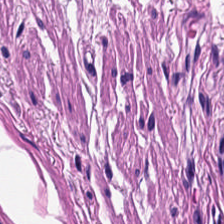0.5 µm/px. FFPE. Hematoxylin and eosin.
This field is muscularis.
